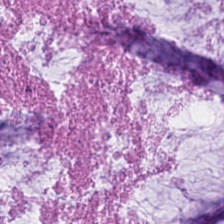Brightfield microscopy; hematoxylin and eosin — Tissue class: extracellular mucin.
